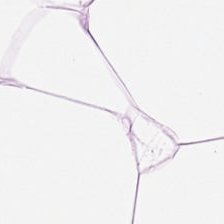FFPE; H&E stain. The tissue is adipose.
